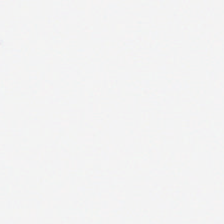Stain: H&E.
Tissue class: adipocytes.
